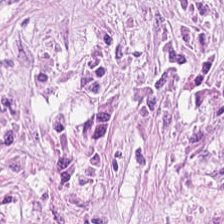Hematoxylin-and-eosin stained section — The predominant tissue is desmoplastic stroma.
